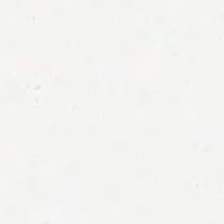20× equivalent magnification · H&E stain. Content = no tissue.
